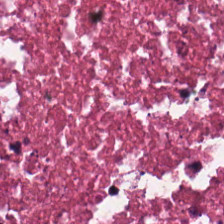H&E stain.
Tissue type: necrotic debris.
